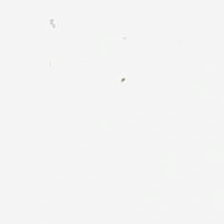Stain: H&E.
Resolution: 0.5 µm per pixel.
Classification: no tissue.
